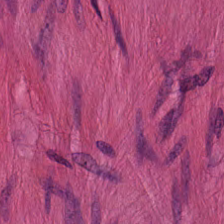{"tissue_type": "smooth muscle"}
